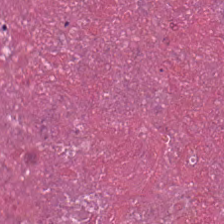The tissue here is cellular debris.
